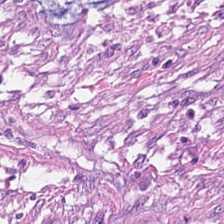Q: What tissue is shown?
A: Desmoplastic stroma.
